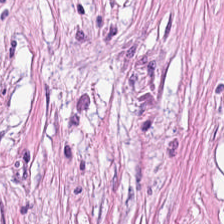Tissue type = tumor stroma.
